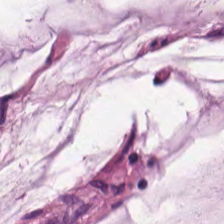Predominant tissue: mucus.
